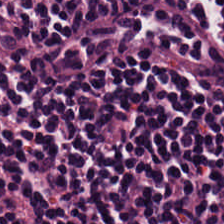Tissue type — lymphocytes.
